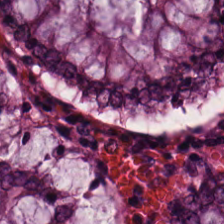H&E stain; brightfield microscopy; 0.5 µm per pixel. Impression → normal colonic mucosa.
